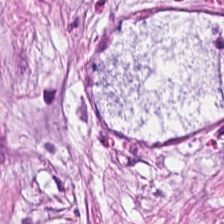H&E. Q: What is shown in this field?
A: The field shows tumor stroma.
